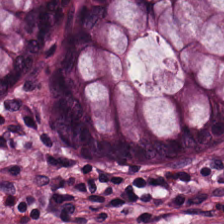Hematoxylin-and-eosin stained section — Impression → normal colon mucosa.
